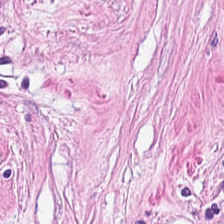H&E — {"tissue_type": "tumor stroma"}
